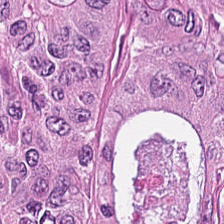Whole-slide-image patch. Hematoxylin-and-eosin stained section. 224×224 pixel tile — The predominant tissue is adenocarcinoma.
